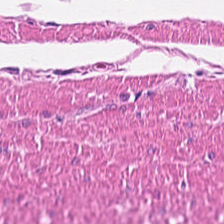H&E-stained tissue section · 224×224 px patch — Q: Identify the tissue.
A: This is muscularis.
